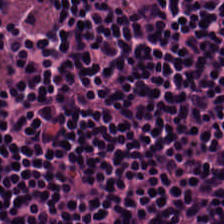H&E stain — Histology → lymphocyte aggregate.
